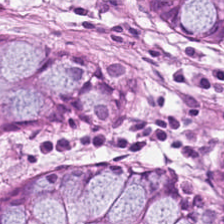Showing normal colon mucosa.
